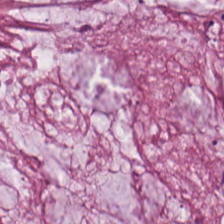224×224 pixel tile · hematoxylin-and-eosin stained section · 0.5 microns per pixel — Classification = extracellular mucin.
